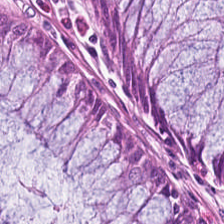Hematoxylin-and-eosin stained section.
This field is non-neoplastic colon mucosa.
